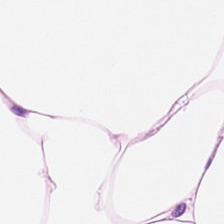Whole-slide-image patch; H&E.
Finding → fat tissue.
